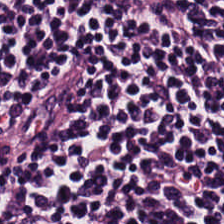Stain: H&E-stained tissue section.
Preparation: FFPE.
Tissue type: lymphoid infiltrate.
